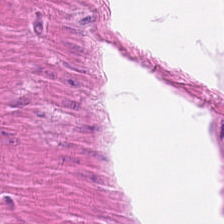Hematoxylin-and-eosin section: muscularis.
